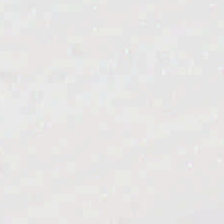H&E stain. Q: Classify this patch.
A: This is background (no tissue).
